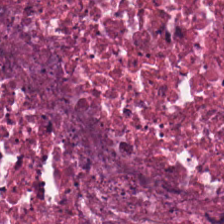H&E.
Tissue type: necrotic debris.
